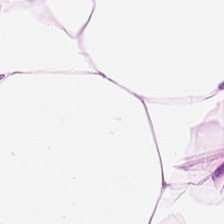Tissue type = adipose tissue.
